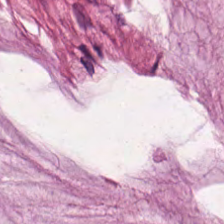H&E stain.
Tissue type: extracellular mucin.
